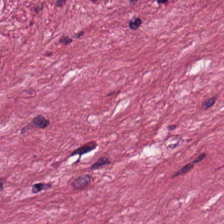Predominant tissue: cancer-associated stroma.
